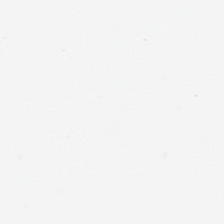Stain: H&E.
Resolution: 0.5 µm per pixel.
Classification: no tissue.
